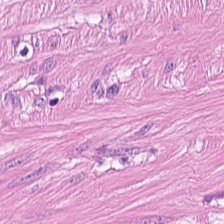Hematoxylin and eosin. Q: What tissue type is shown here?
A: The field shows smooth muscle.
